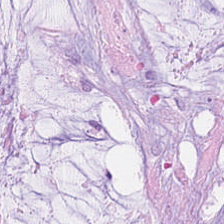224×224 px tile. H&E stain. Showing mucin.
